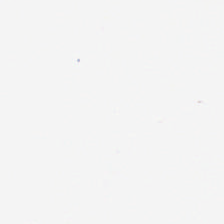No tissue present; background only.
